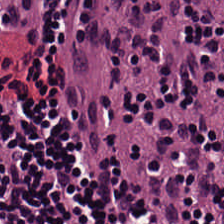Hematoxylin and eosin — This field is lymphocytes.
